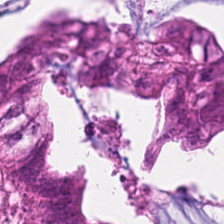H&E stain; FFPE tissue section. Q: What tissue is shown?
A: It is colorectal adenocarcinoma.
